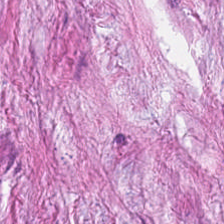H&E stain — This field is cancer-associated stroma.
